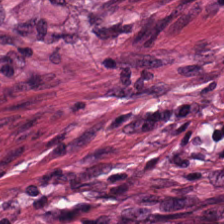This field is desmoplastic stroma.
